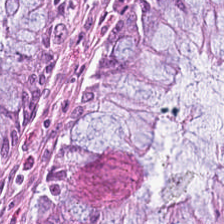Stain: H&E.
Tissue class: normal colonic mucosa.
